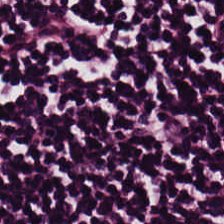H&E-stained tissue section. The tissue class is lymphocytes.
